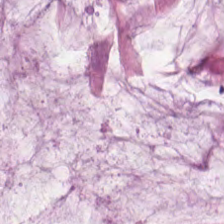Hematoxylin-and-eosin stained section.
Showing mucus.
